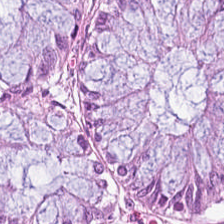H&E · whole-slide-image patch · 0.5 microns per pixel. Finding → normal colonic mucosa.
